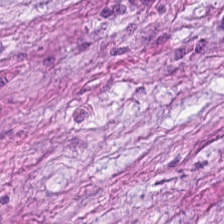Histology → tumor stroma.
